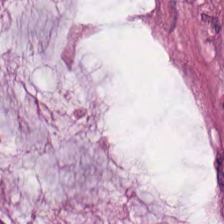Classification — extracellular mucin.
